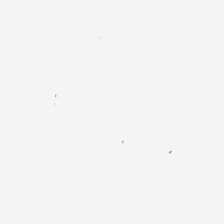H&E-stained tissue section. Background.
